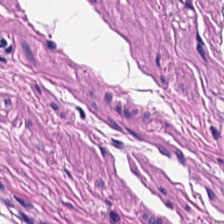H&E stain. Smooth-muscle tissue.
